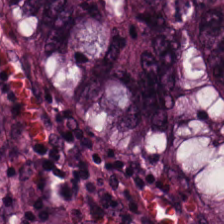Hematoxylin and eosin — Predominantly tumor epithelium.
